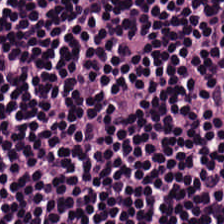H&E stain. Showing lymphocyte aggregate.
